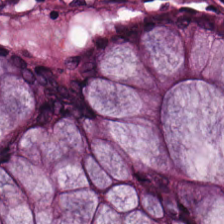H&E stain — Q: What tissue is shown?
A: The field shows normal colon mucosa.
